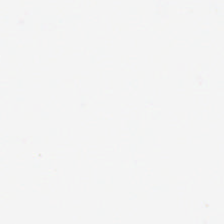Hematoxylin-and-eosin stained section.
No tissue present; background only.
